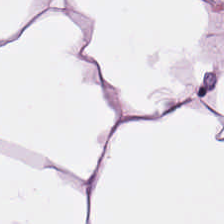Hematoxylin and eosin; 224×224 px tile.
Adipocytes.
